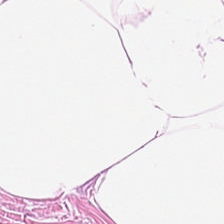Tissue class — adipose tissue.
